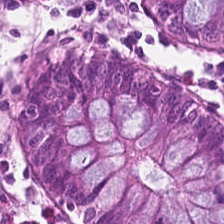{"tissue_type": "benign colonic mucosa"}
